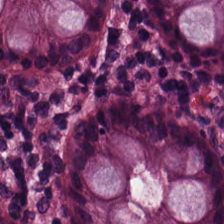H&E — Classification = benign colonic mucosa.
